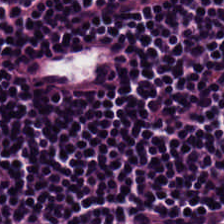H&E-stained tissue section; formalin-fixed paraffin-embedded section — This field is lymphoid infiltrate.
